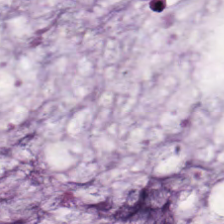H&E stain.
Classification — extracellular mucin.
